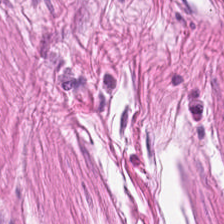Stain: hematoxylin-and-eosin stained section.
Tissue: smooth muscle.
